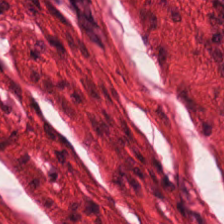Hematoxylin-and-eosin stained section. Tissue = muscularis.
